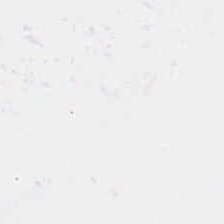FFPE tissue section · H&E-stained tissue section · WSI patch.
Content — background.
